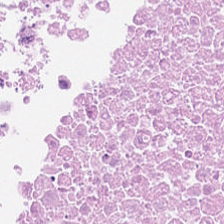Tissue — cellular debris.
